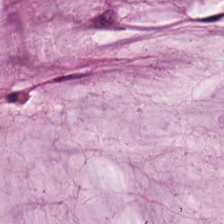H&E.
Classification — mucin.
